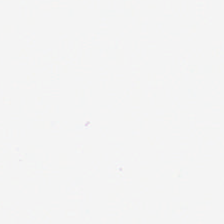Hematoxylin-and-eosin stained section.
Field content: no tissue.
